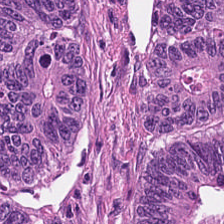H&E-stained tissue section.
Predominantly adenocarcinoma.
